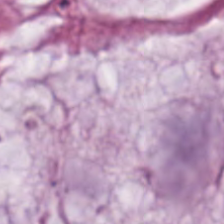Hematoxylin and eosin — Tissue: extracellular mucin.
